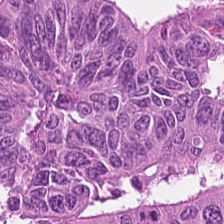20× equivalent magnification · H&E stain.
Colorectal adenocarcinoma epithelium.
